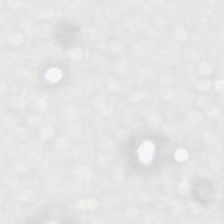H&E.
Content = background.
